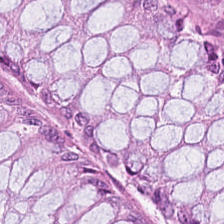Stain: hematoxylin and eosin.
Tissue: normal colonic mucosa.
